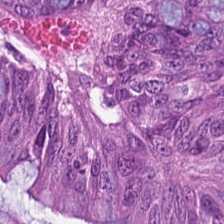FFPE · H&E stain — Tissue class: tumor epithelium.
